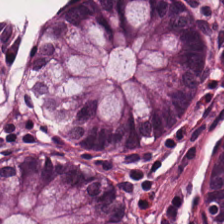The tissue is benign colonic mucosa.
